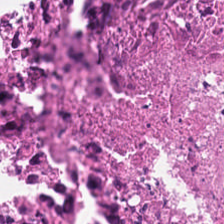H&E-stained tissue section; brightfield microscopy — Tissue type = necrotic debris.
